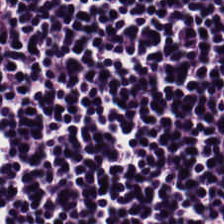Stain: H&E stain.
Tissue class: lymphocytic infiltrate.
